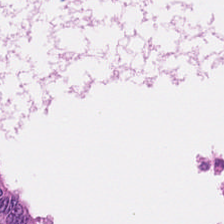Q: What is shown here?
A: The field shows malignant epithelium.
